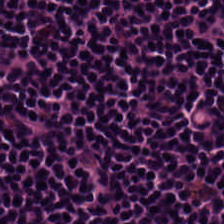0.5 microns per pixel · WSI patch · H&E.
Q: What type of tissue is this?
A: Lymphoid infiltrate.
